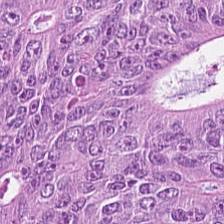H&E. Predominant tissue: colorectal adenocarcinoma epithelium.
